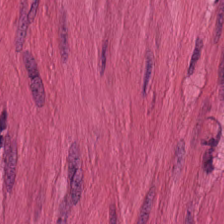H&E stain; brightfield microscopy; 0.5 µm/px. The tissue is smooth-muscle tissue.
